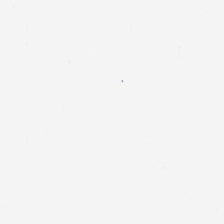Classification = background.
